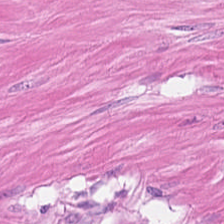FFPE; hematoxylin and eosin — Predominantly smooth-muscle tissue.
